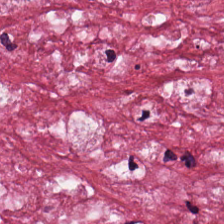H&E-stained section; the field shows cancer-associated stroma.
